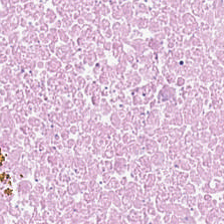224×224 px patch; hematoxylin-and-eosin stained section; brightfield. The tissue here is cellular debris.
